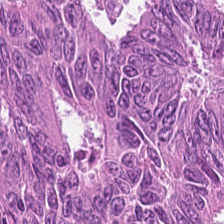This patch shows colorectal adenocarcinoma.
